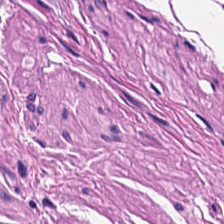Hematoxylin and eosin. The predominant tissue is smooth-muscle tissue.
